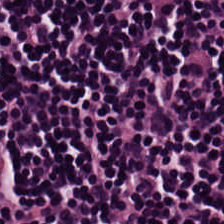Formalin-fixed paraffin-embedded section. H&E-stained tissue section.
This patch shows lymphocytic infiltrate.
